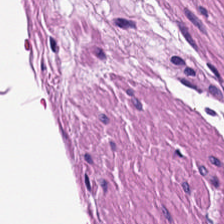FFPE tissue section. Hematoxylin-and-eosin stained section — Predominant tissue — smooth muscle.
